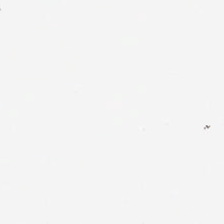224×224 pixel tile. H&E-stained tissue section.
Q: What is shown here?
A: The field shows empty background.
